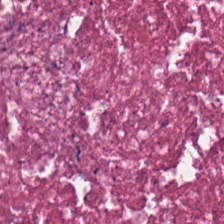224×224 px patch; hematoxylin and eosin; WSI patch. Impression — cellular debris.
